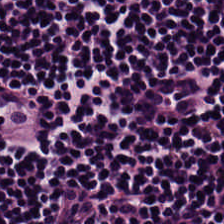Stain: H&E.
Tissue class: lymphocytic infiltrate.
